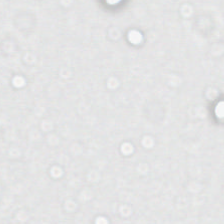H&E-stained tissue section. Q: Classify this patch.
A: The field shows background.
